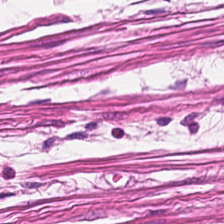Stain: hematoxylin-and-eosin stained section.
Classification: muscularis.
